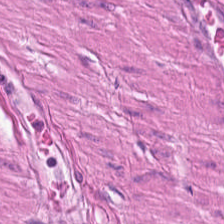H&E · FFPE.
Q: What is shown here?
A: Muscularis.
